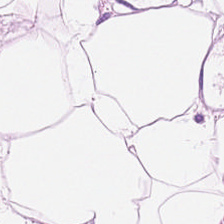H&E-stained tissue section — Showing adipose tissue.
